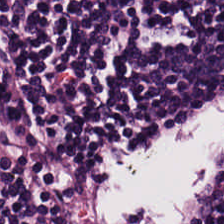H&E-stained tissue section; 224×224 pixel tile; FFPE tissue section.
Q: What is the predominant tissue type?
A: The field shows lymphocyte aggregate.
